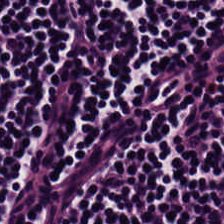Q: What does this patch show?
A: Lymphocytes.
